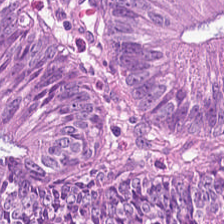FFPE tissue section. 20× equivalent magnification. H&E. Finding → adenocarcinoma.
